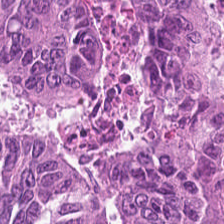Formalin-fixed paraffin-embedded section; 0.5 microns per pixel; hematoxylin-and-eosin stained section — Q: What tissue is shown?
A: The field shows malignant epithelium.
